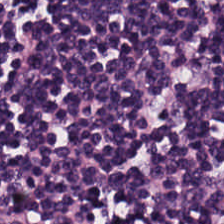Classification = lymphocytes.
